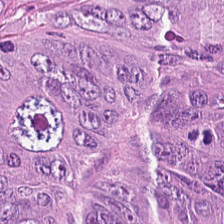Hematoxylin and eosin. 224×224 pixel tile. {"tissue_type": "malignant epithelium"}
